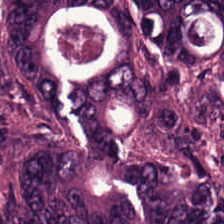Classification: adenocarcinoma.
